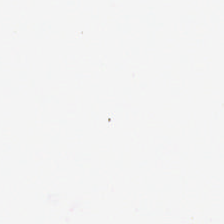Formalin-fixed paraffin-embedded section; brightfield microscopy; H&E.
Finding → background.
